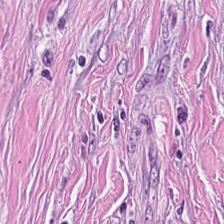H&E-stained tissue section.
Impression — cancer-associated stroma.
